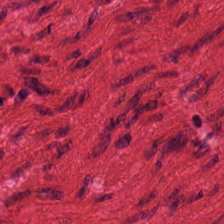Hematoxylin-and-eosin stained section — Showing smooth-muscle tissue.
